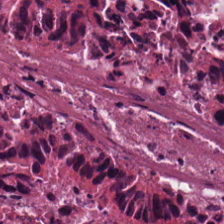FFPE tissue section; H&E stain; 224×224 pixel tile — {"tissue_type": "cellular debris"}
